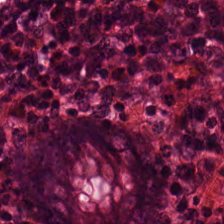H&E; 20× equivalent magnification. The tissue is normal colon mucosa.
